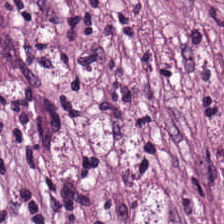Histology — tumor-associated stroma.
